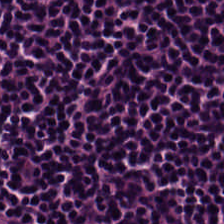FFPE tissue section; H&E stain — {"tissue_type": "lymphocyte aggregate"}
